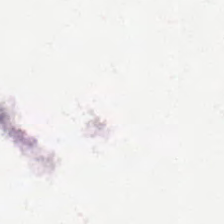{"content": "empty background"}
